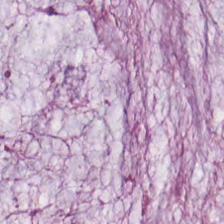H&E.
The tissue here is mucus.
